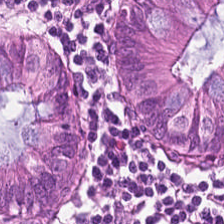WSI patch · H&E-stained tissue section · FFPE.
Q: What type of tissue is this?
A: Normal colon mucosa.
